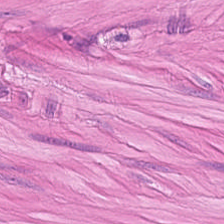H&E-stained tissue section · 224×224 pixel tile.
The tissue class is smooth-muscle tissue.
